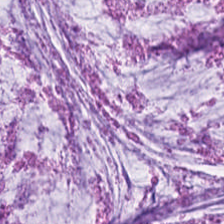Hematoxylin and eosin. The tissue is mucus.
